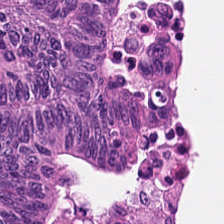Hematoxylin and eosin. The tissue here is adenocarcinoma.
